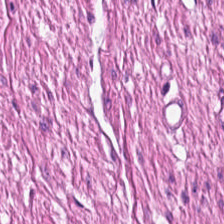224×224 px patch; hematoxylin and eosin. This patch shows smooth-muscle tissue.
